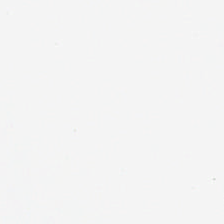Hematoxylin and eosin. Finding → no tissue.
